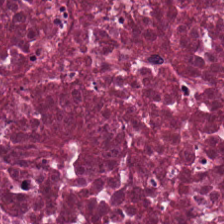Q: What is shown in this field?
A: Cellular debris.
